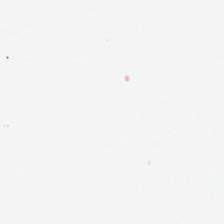H&E; 0.5 µm/px; FFPE tissue section. This field is background (no tissue).
